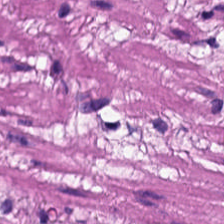Formalin-fixed paraffin-embedded section · hematoxylin-and-eosin stained section · WSI patch.
{"tissue_type": "muscularis"}
